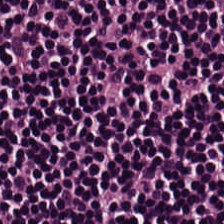The tissue is lymphocytes.
